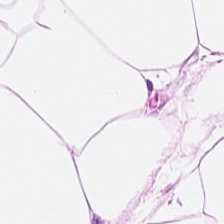H&E stain. Tissue type: adipose tissue.
